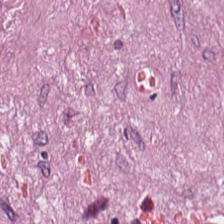Hematoxylin and eosin — Histology → cancer-associated stroma.
